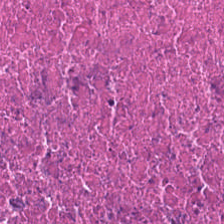FFPE · 224×224 px patch · hematoxylin and eosin. Classification: necrotic debris.
